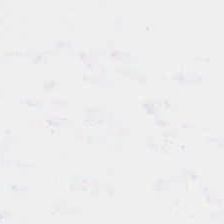H&E stain.
Finding — background (no tissue).
